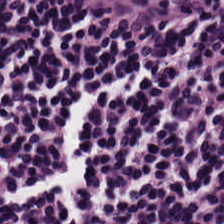WSI patch. Hematoxylin and eosin — Lymphocytes.
